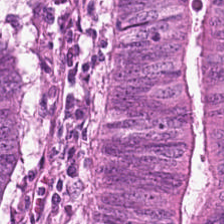Hematoxylin-and-eosin stained section.
Tissue — adenocarcinoma.
